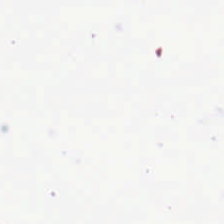H&E stain · WSI patch. This field is background (no tissue).
